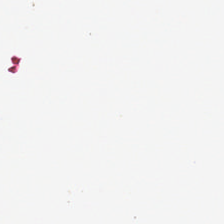Hematoxylin-and-eosin stained section.
Impression — background (no tissue).
